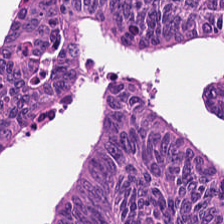0.5 microns per pixel. Hematoxylin and eosin — This field is tumor epithelium.
